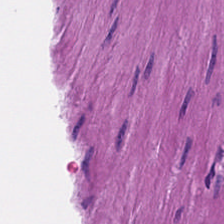Hematoxylin and eosin; FFPE tissue section; 224×224 px tile — Histology — smooth muscle.
